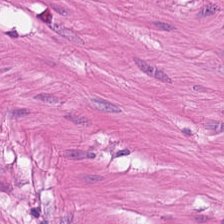Stain: H&E-stained tissue section.
Tissue type: muscularis.
